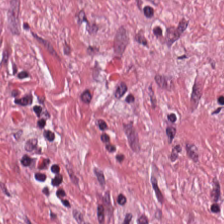Finding — cancer-associated stroma.
